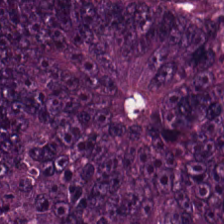Histology → tumor epithelium.
